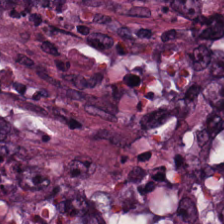H&E-stained tissue section — Tissue — adenocarcinoma.
